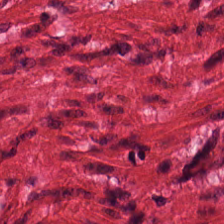FFPE · hematoxylin-and-eosin stained section.
Q: Identify the tissue.
A: It is smooth muscle.
